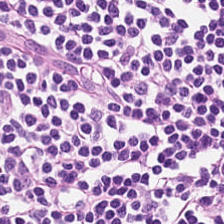Stain: H&E stain.
Tissue type: lymphocyte aggregate.
